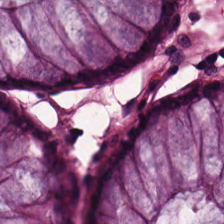Impression — normal colonic mucosa.
